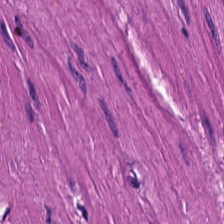Hematoxylin and eosin. Q: What tissue type is shown here?
A: It is muscularis.
